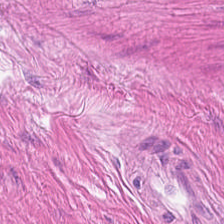Stain: hematoxylin-and-eosin stained section.
Preparation: FFPE.
Tile size: 224×224 pixel tile.
Tissue class: smooth muscle.
